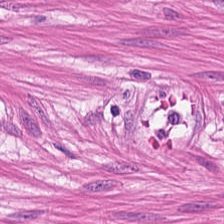Brightfield; 224×224 px tile; H&E stain. Q: What type of tissue is this?
A: It is smooth muscle.
